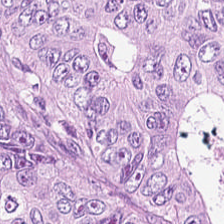Stain: hematoxylin-and-eosin stained section.
Predominant tissue: malignant epithelium.
